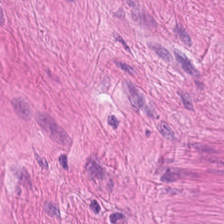Hematoxylin and eosin · FFPE tissue section — Predominantly muscularis.
